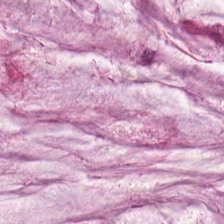Brightfield microscopy; hematoxylin-and-eosin stained section; FFPE — Tissue class = mucus.
